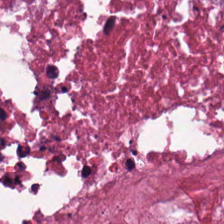Stain: hematoxylin and eosin.
Resolution: 0.5 microns per pixel.
Tissue: debris.
